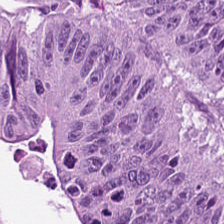FFPE tissue section. H&E stain. 0.5 µm per pixel.
Colorectal adenocarcinoma epithelium.
